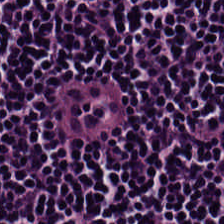H&E patch showing lymphocytic infiltrate.
